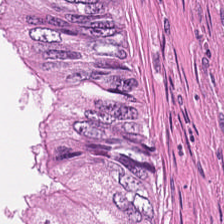224×224 px tile. 20× equivalent magnification. Hematoxylin and eosin. The classification is necrotic debris.
